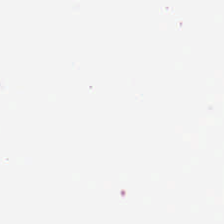Stain: H&E.
Acquisition: whole-slide-image patch.
Field content: background.
